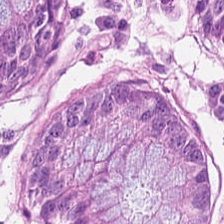{"tissue_type": "normal colon mucosa"}
